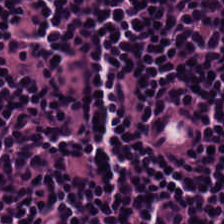H&E.
Lymphocytic infiltrate.
